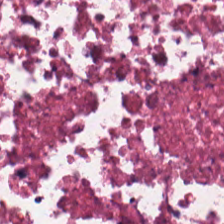Hematoxylin-and-eosin stained section — The tissue here is debris.
